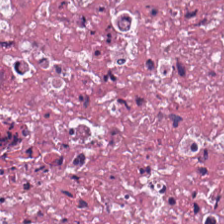Stain: H&E.
Tile size: 224×224 px tile.
Acquisition: WSI patch.
Classification: necrotic debris.
